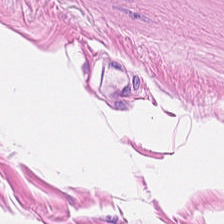Hematoxylin and eosin; formalin-fixed paraffin-embedded section. Impression → muscularis.
